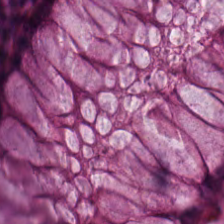H&E · formalin-fixed paraffin-embedded section. The tissue class is normal colonic mucosa.
